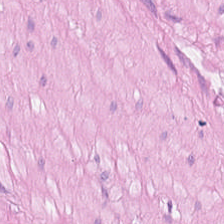0.5 µm per pixel · hematoxylin-and-eosin stained section — This patch shows smooth muscle.
